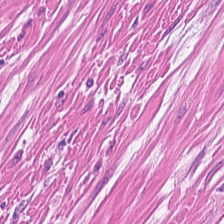H&E stain · brightfield microscopy — The predominant tissue is smooth muscle.
